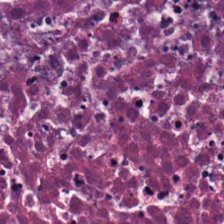0.5 µm per pixel. H&E. 224×224 px tile. Finding — debris.
